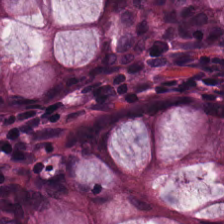Stain: H&E-stained tissue section.
Tissue class: normal colonic mucosa.
